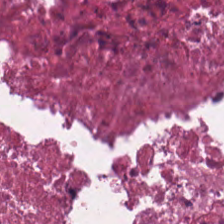Hematoxylin and eosin. Predominantly necrotic debris.
